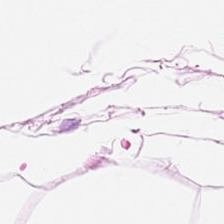H&E-stained tissue section. Q: What does this patch show?
A: The field shows adipocytes.
